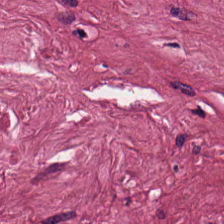H&E; FFPE tissue section; whole-slide-image patch. This patch shows tumor stroma.
